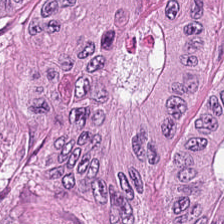H&E. Finding — tumor epithelium.
